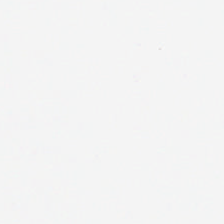H&E-stained tissue section — Content — background.
